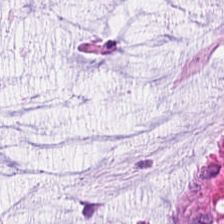224×224 px tile. Hematoxylin and eosin.
The predominant tissue is mucin.
